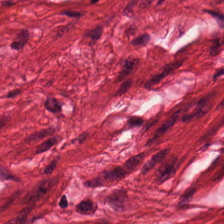Hematoxylin and eosin. Whole-slide-image patch. This patch shows smooth-muscle tissue.
